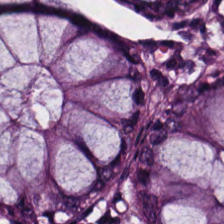Hematoxylin-and-eosin stained section.
Predominantly normal colonic mucosa.
